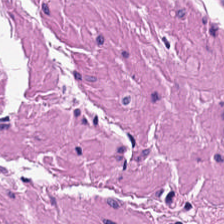H&E stain — Predominant tissue: smooth-muscle tissue.
